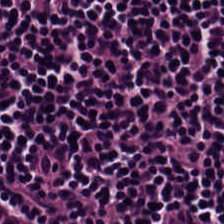224×224 px tile. Hematoxylin-and-eosin stained section.
Tissue type: lymphocytic infiltrate.
